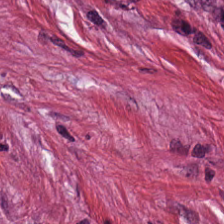The tissue here is tumor stroma.
